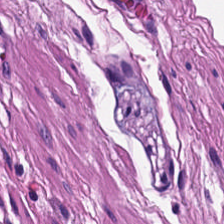H&E-stained tissue section showing muscularis.
